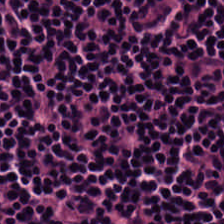Classification = lymphoid infiltrate.
